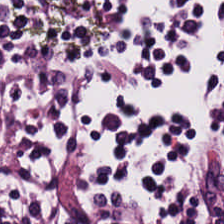Hematoxylin-and-eosin stained section.
This patch shows lymphocyte aggregate.
